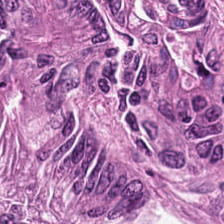FFPE. Hematoxylin-and-eosin stained section — This patch shows colorectal adenocarcinoma epithelium.
